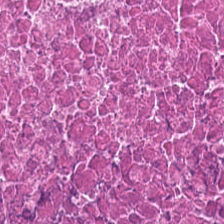Brightfield; H&E stain.
Tissue = cellular debris.
